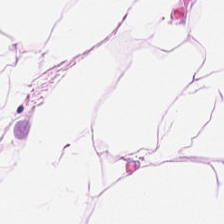H&E — Q: What tissue is shown?
A: This is fat tissue.
